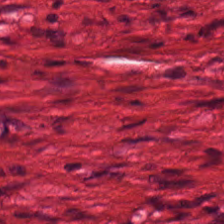Stain: H&E stain.
Tissue: smooth-muscle tissue.
